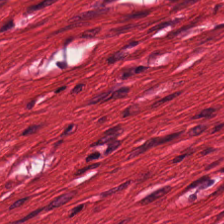Stain: hematoxylin-and-eosin stained section.
Preparation: FFPE tissue section.
Tile size: 224×224 px tile.
Tissue type: smooth muscle.
